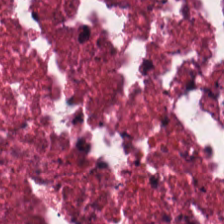Hematoxylin and eosin · 224×224 px tile.
{"tissue_type": "necrotic debris"}
